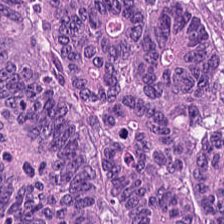Predominantly colorectal adenocarcinoma epithelium.
